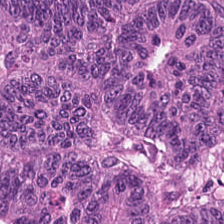0.5 µm/px; formalin-fixed paraffin-embedded section; H&E-stained tissue section — Histology → colorectal adenocarcinoma epithelium.
